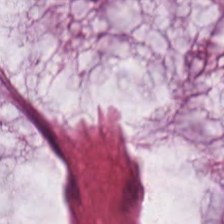Hematoxylin and eosin · WSI patch.
The tissue class is mucus.
